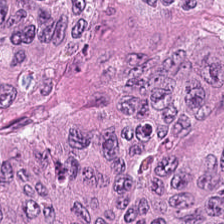The classification is tumor epithelium.
